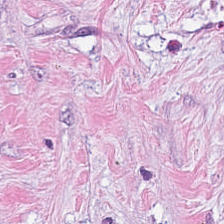Stain: H&E.
Tissue class: tumor stroma.
